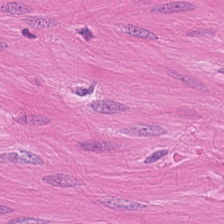20× equivalent magnification; H&E-stained tissue section; formalin-fixed paraffin-embedded section — Q: What tissue type is shown here?
A: It is muscularis.
